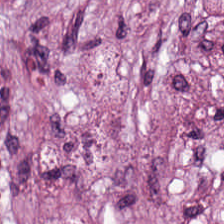Stain: H&E.
Tissue class: desmoplastic stroma.
